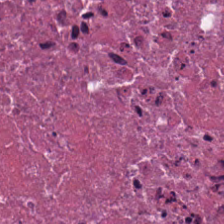H&E — The predominant tissue is necrotic debris.
